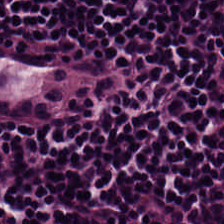0.5 microns per pixel. Brightfield. H&E stain — Predominantly lymphoid infiltrate.
